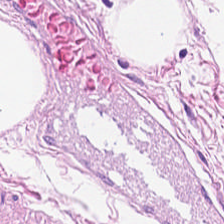Hematoxylin-and-eosin stained section. This patch shows adipocytes.
